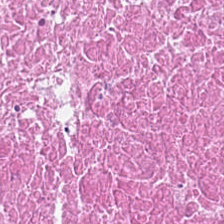Stain: hematoxylin-and-eosin stained section.
Tile size: 224×224 px tile.
Preparation: formalin-fixed paraffin-embedded section.
Predominant tissue: cellular debris.
